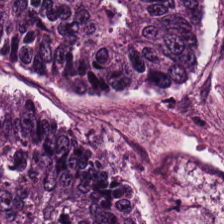Hematoxylin and eosin — The classification is tumor epithelium.
